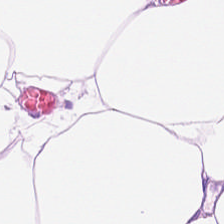Q: What tissue is shown?
A: This is adipose.
